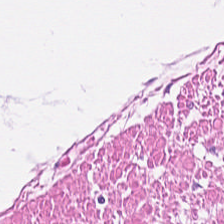Tissue: smooth-muscle tissue.
